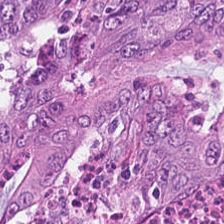The tissue here is tumor epithelium.
